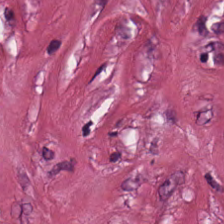Stain: hematoxylin-and-eosin stained section.
Tissue type: tumor stroma.
